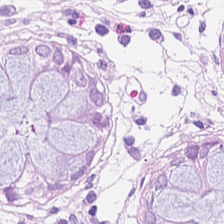{"tissue_type": "benign colonic mucosa"}
